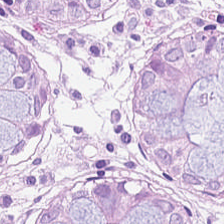Hematoxylin and eosin; whole-slide-image patch. Q: What is the predominant tissue type?
A: Normal colonic mucosa.
